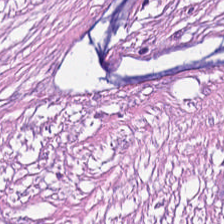Predominant tissue — cancer-associated stroma.
